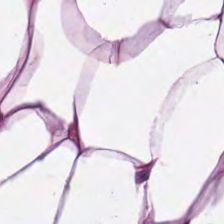H&E stain — The predominant tissue is adipocytes.
